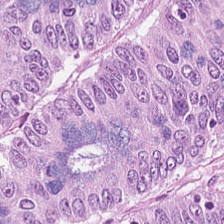Hematoxylin and eosin. The tissue type is malignant epithelium.
